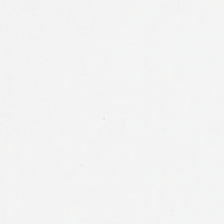Q: What does this patch show?
A: The field shows background.
